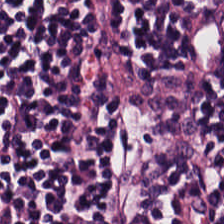Hematoxylin-and-eosin stained section. This patch shows lymphoid infiltrate.
